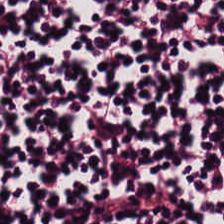Predominantly lymphoid infiltrate.
